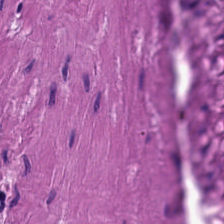Stain: H&E stain.
Tile size: 224×224 px tile.
Acquisition: brightfield microscopy.
Tissue type: smooth-muscle tissue.
